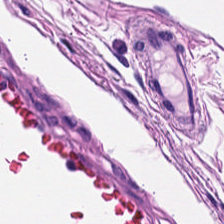0.5 µm per pixel; H&E; FFPE. This patch shows smooth muscle.
